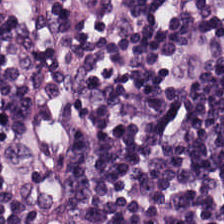The tissue here is lymphocyte aggregate.
